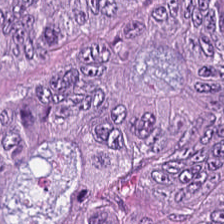H&E; FFPE — The tissue here is colorectal adenocarcinoma.
